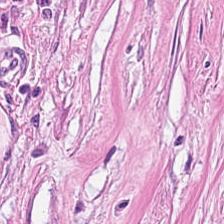Stain: H&E stain.
Tissue class: tumor-associated stroma.
